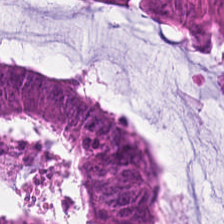0.5 µm per pixel; hematoxylin-and-eosin stained section; WSI patch. Q: What tissue type is shown here?
A: It is colorectal adenocarcinoma epithelium.
